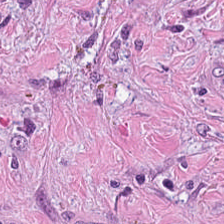Showing desmoplastic stroma.
